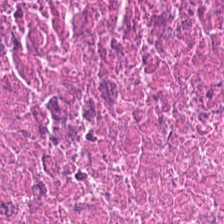WSI patch; hematoxylin-and-eosin stained section.
This field is necrotic debris.
